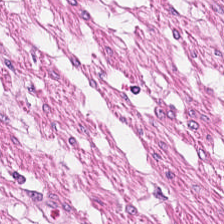Stain: hematoxylin and eosin.
Tile size: 224×224 pixel tile.
Predominant tissue: smooth-muscle tissue.
